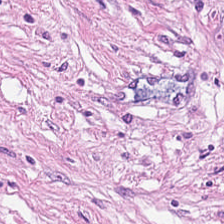Hematoxylin and eosin.
Desmoplastic stroma.
